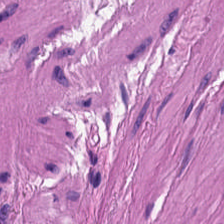H&E stain. Histology → muscularis.
